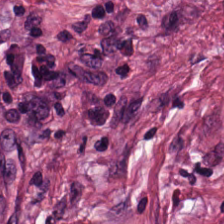H&E-stained tissue section.
Classification — tumor stroma.
